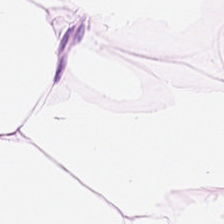Stain: hematoxylin-and-eosin stained section.
Acquisition: brightfield.
Preparation: FFPE.
Tissue: adipose tissue.
